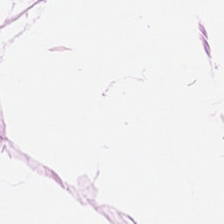Impression → adipose tissue.
